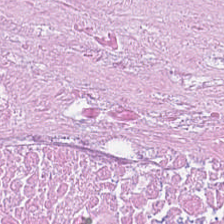Stain: H&E.
Acquisition: brightfield.
Tissue type: cellular debris.
